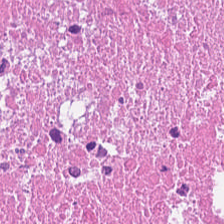Hematoxylin-and-eosin stained section. Classification = necrotic debris.
